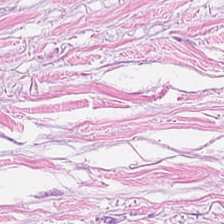FFPE; H&E.
The predominant tissue is cancer-associated stroma.
